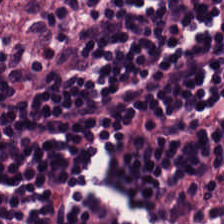0.5 µm/px. H&E stain — Tissue — lymphocyte aggregate.
